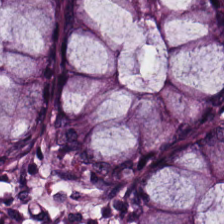Stain: H&E stain.
Classification: normal colon mucosa.
